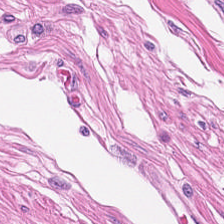H&E — Finding → smooth muscle.
